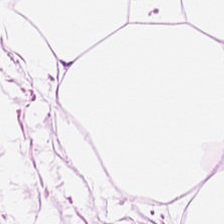Stain: H&E stain.
Tile size: 224×224 px tile.
Tissue: fat tissue.
